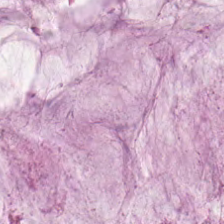Hematoxylin and eosin. The tissue class is mucus.
